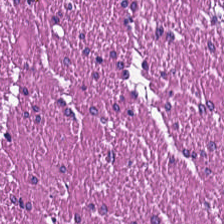H&E — smooth muscle.
